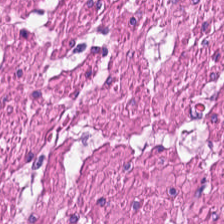224×224 pixel tile. Formalin-fixed paraffin-embedded section. H&E. Predominantly smooth-muscle tissue.
